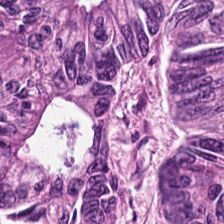Predominant tissue: adenocarcinoma.
